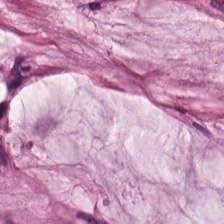Hematoxylin and eosin.
Q: What is shown here?
A: Extracellular mucin.
